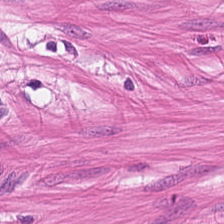Brightfield · formalin-fixed paraffin-embedded section · H&E stain.
Predominant tissue — smooth muscle.
